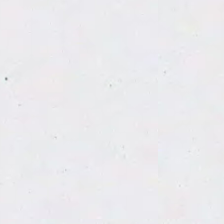Hematoxylin and eosin; 224×224 px tile; FFPE — No tissue present; background only.
